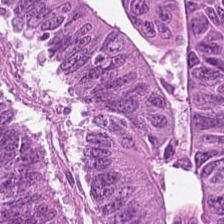Hematoxylin-and-eosin stained section — Tissue = malignant epithelium.
